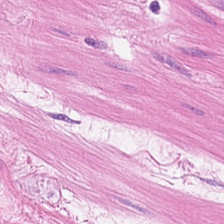H&E — Classification — muscularis.
